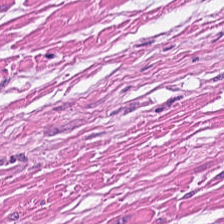H&E stain.
Q: Identify the tissue.
A: Smooth-muscle tissue.
